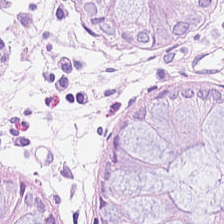Stain: hematoxylin and eosin.
Tissue: normal colon mucosa.
